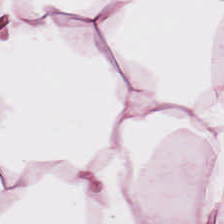This field is fat tissue.
